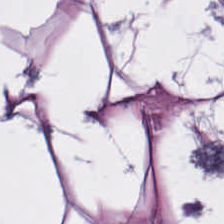Q: Classify this patch.
A: This is adipose tissue.
